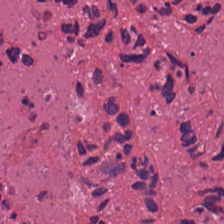Formalin-fixed paraffin-embedded section. H&E stain.
Tissue class = necrotic debris.
